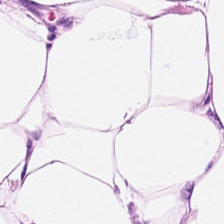Hematoxylin-and-eosin stained section. Histology — adipose tissue.
